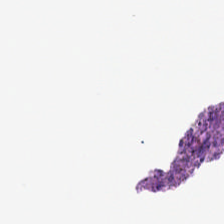Q: Classify this patch.
A: Empty background.
